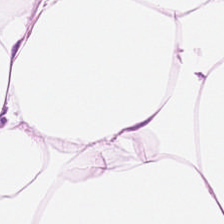Hematoxylin and eosin. This patch shows adipose.
